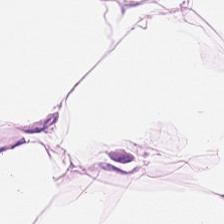Q: Identify the tissue.
A: Adipose.
